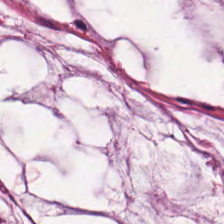Tissue type = extracellular mucin.
